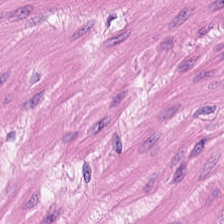Stain: H&E stain.
Tile size: 224×224 px tile.
Classification: muscularis.
